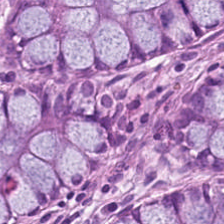Stain: hematoxylin-and-eosin stained section.
Tissue: normal colonic mucosa.
